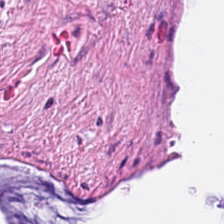224×224 px tile · hematoxylin and eosin · whole-slide-image patch.
Q: What tissue type is shown here?
A: This is mucus.
